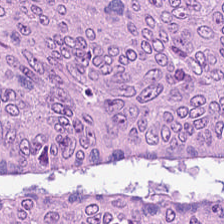Stain: hematoxylin-and-eosin stained section.
Predominant tissue: adenocarcinoma.
